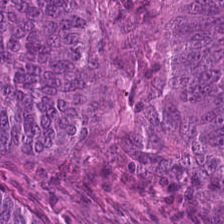Hematoxylin-and-eosin stained section.
Colorectal adenocarcinoma.
